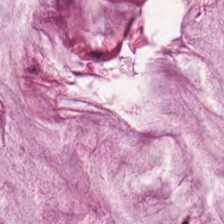H&E-stained tissue section.
Q: Identify the tissue.
A: It is extracellular mucin.
